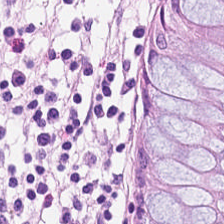Hematoxylin and eosin. Predominant tissue — normal colon mucosa.
